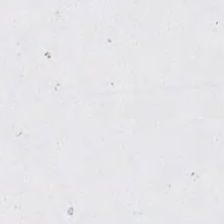224×224 px tile. Hematoxylin and eosin.
Empty background.
